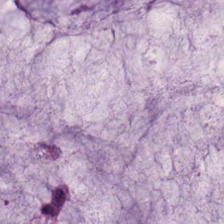Mucus.
